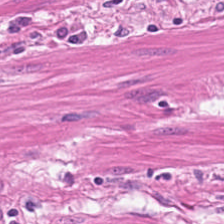Stain: hematoxylin and eosin.
Preparation: FFPE.
Tissue class: smooth-muscle tissue.
